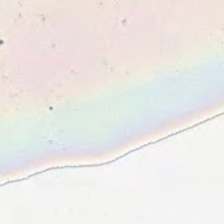Field content: empty background.
